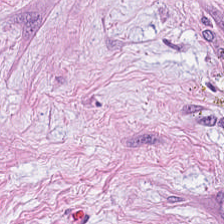H&E stain — Showing desmoplastic stroma.
